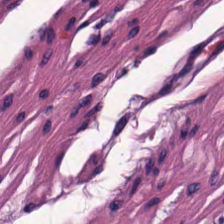H&E stain · 224×224 pixel tile. Q: What is shown here?
A: The field shows muscularis.
